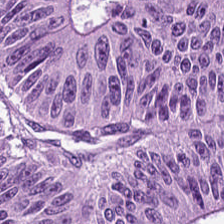Hematoxylin and eosin · FFPE · 224×224 pixel tile. Histology → colorectal adenocarcinoma.
